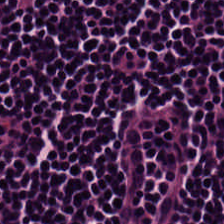H&E. Q: What is shown in this field?
A: Lymphocyte aggregate.
